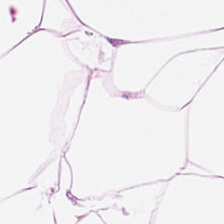H&E-stained tissue section. Predominant tissue — adipose.
